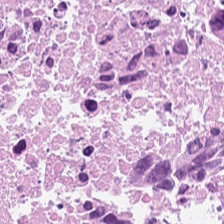Q: What type of tissue is this?
A: It is debris.
